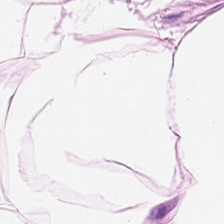Histology — adipose tissue.
